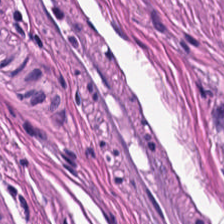H&E — smooth-muscle tissue.
